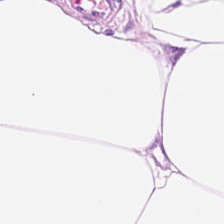H&E stain · formalin-fixed paraffin-embedded section. Predominant tissue — adipose.
